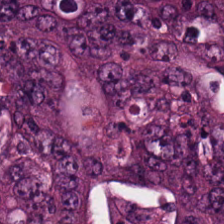This field is colorectal adenocarcinoma epithelium.
